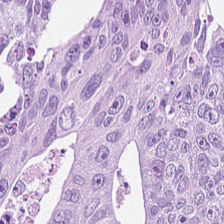H&E. Predominantly adenocarcinoma.
